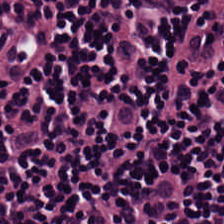H&E stain — {"tissue_type": "lymphoid infiltrate"}
